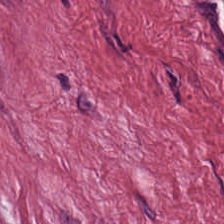Hematoxylin-and-eosin stained section — This field is tumor stroma.
